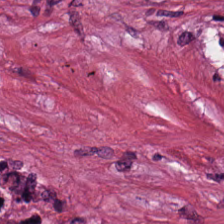H&E · 224×224 pixel tile · formalin-fixed paraffin-embedded section.
Tissue class: tumor stroma.
